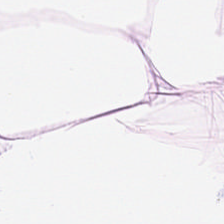Hematoxylin and eosin. Tissue class: fat tissue.
